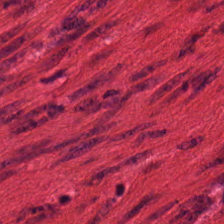H&E — Predominantly smooth-muscle tissue.
